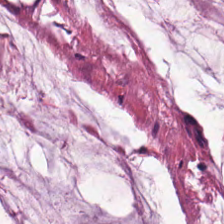Stain: H&E-stained tissue section.
Resolution: 20× equivalent magnification.
Predominant tissue: mucus.
